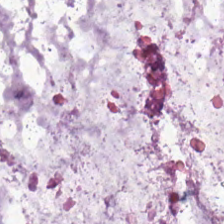Brightfield. 224×224 px patch. Hematoxylin-and-eosin stained section.
{"tissue_type": "extracellular mucin"}
